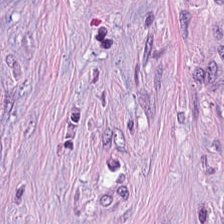H&E stain.
The tissue here is tumor-associated stroma.
